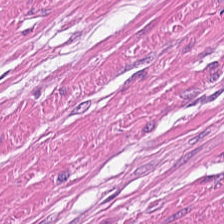H&E-stained tissue section; 224×224 pixel tile. This field is muscularis.
